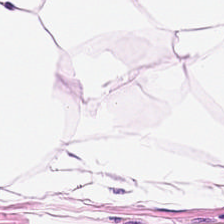H&E stain — Tissue = adipose tissue.
